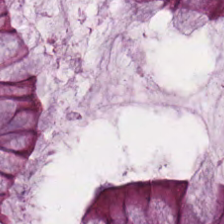This field is benign colonic mucosa.
